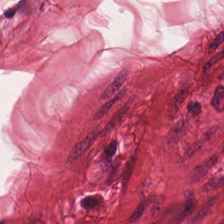H&E-stained tissue section; 224×224 px tile.
The predominant tissue is muscularis.
